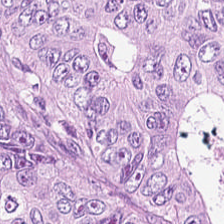H&E-stained tissue section. Formalin-fixed paraffin-embedded section.
Tissue class: tumor epithelium.
